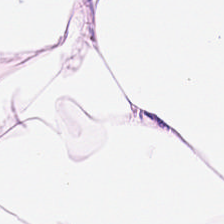The tissue is adipose tissue.
